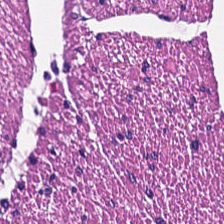224×224 px tile; H&E. The tissue is smooth muscle.
